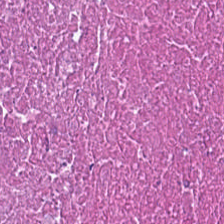H&E. The predominant tissue is cellular debris.
